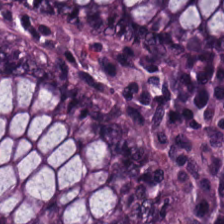Stain: hematoxylin and eosin.
Acquisition: whole-slide-image patch.
Tissue class: normal colon mucosa.
